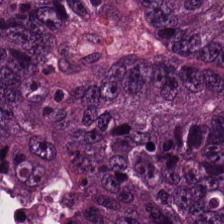H&E-stained tissue section. Predominant tissue: tumor epithelium.
